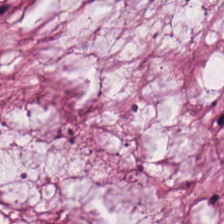Brightfield. H&E.
Predominantly extracellular mucin.
